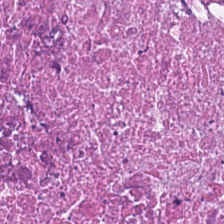Hematoxylin and eosin. FFPE. This field is debris.
